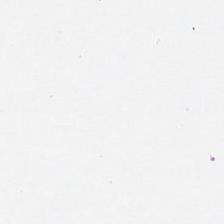H&E stain. WSI patch. This field is background (no tissue).
